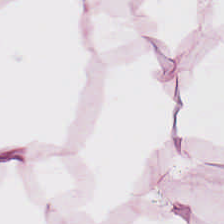H&E-stained tissue section.
The predominant tissue is adipose.
